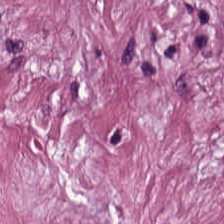Formalin-fixed paraffin-embedded section. H&E stain.
Showing cancer-associated stroma.
